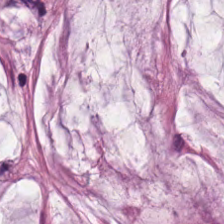Formalin-fixed paraffin-embedded section; H&E stain — This patch shows mucin.
